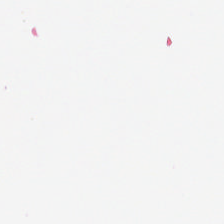H&E.
The field content is background (no tissue).
